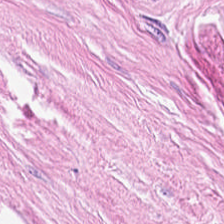Hematoxylin and eosin · FFPE tissue section. Predominantly tumor-associated stroma.
